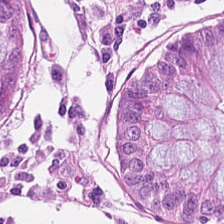Hematoxylin-and-eosin stained section. 0.5 µm per pixel.
Finding — normal colon mucosa.
